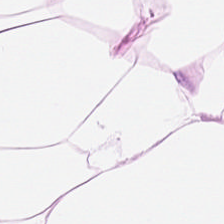Hematoxylin and eosin — Q: What is shown here?
A: This is fat tissue.
